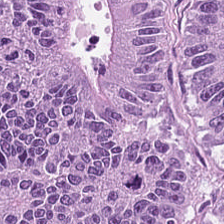Hematoxylin-and-eosin section: colorectal adenocarcinoma epithelium.
